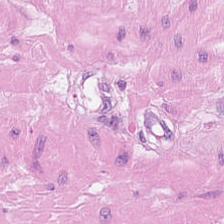Hematoxylin and eosin. 224×224 px tile. 0.5 microns per pixel. Q: What is shown in this field?
A: The field shows smooth muscle.
